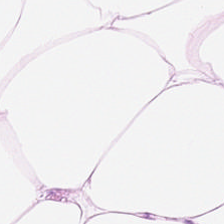Hematoxylin and eosin · brightfield microscopy.
This patch shows fat tissue.
